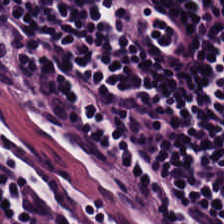Hematoxylin-and-eosin stained section. Finding → lymphoid infiltrate.
